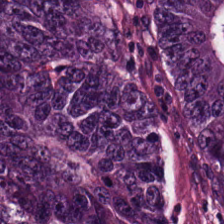Stain: hematoxylin and eosin.
Tissue: colorectal adenocarcinoma.
